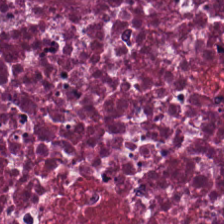Whole-slide-image patch. H&E-stained tissue section. This field is necrotic debris.
